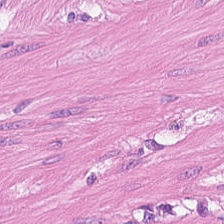H&E stain.
This field is muscularis.
